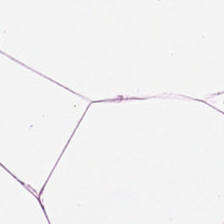WSI patch. H&E stain. Classification = adipose.
